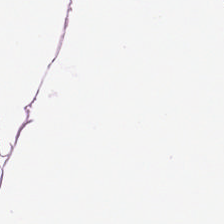Hematoxylin and eosin.
Histology → adipose tissue.
